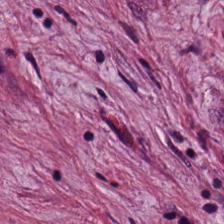Hematoxylin-and-eosin section: tumor-associated stroma.
